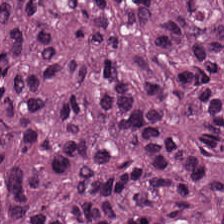224×224 px patch. H&E stain. Brightfield microscopy.
Colorectal adenocarcinoma.
